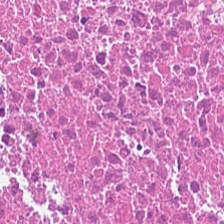H&E.
Histology — necrotic debris.
